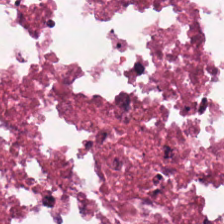Stain: H&E.
Classification: necrotic debris.
